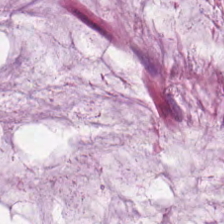Hematoxylin and eosin.
Q: What does this patch show?
A: Extracellular mucin.
